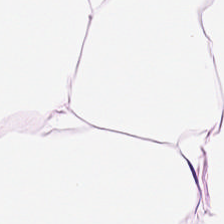Hematoxylin-and-eosin stained section — Predominant tissue: adipose.
